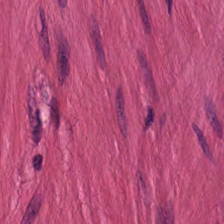Hematoxylin-and-eosin stained section.
The predominant tissue is muscularis.
